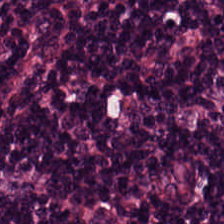H&E; brightfield.
Classification = lymphoid infiltrate.
